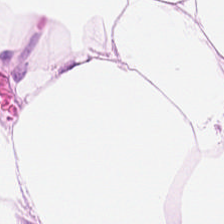Hematoxylin-and-eosin stained section. Brightfield microscopy. Predominant tissue = fat tissue.
